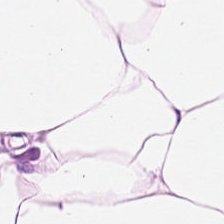H&E-stained tissue section; 0.5 µm per pixel — Showing adipose tissue.
